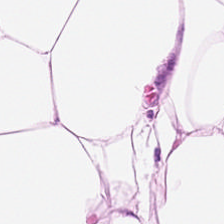Tissue type = adipose tissue.
